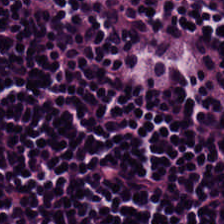H&E-stained tissue section.
Showing lymphocyte aggregate.
